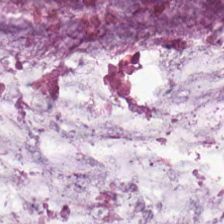H&E.
Q: Identify the tissue.
A: Extracellular mucin.
